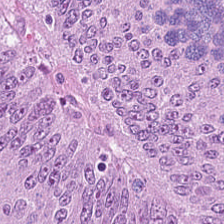Hematoxylin and eosin.
The tissue here is adenocarcinoma.
